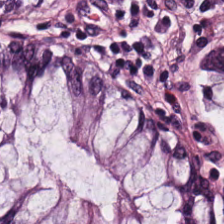Hematoxylin-and-eosin stained section — Showing benign colonic mucosa.
